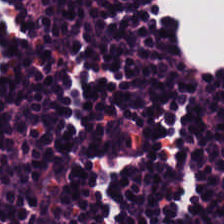Finding → lymphocyte aggregate.
